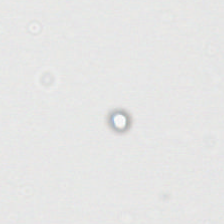H&E-stained tissue section.
No tissue present; background only.
